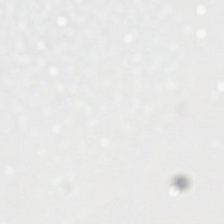H&E stain. This patch shows no tissue.
